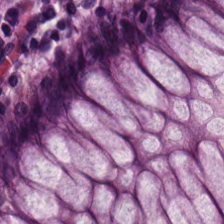H&E · brightfield microscopy — Predominantly non-neoplastic colon mucosa.
